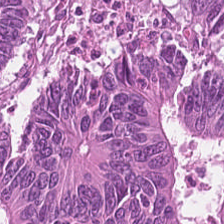Formalin-fixed paraffin-embedded section; H&E-stained tissue section.
Impression — malignant epithelium.
